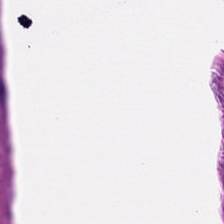H&E stain. Showing smooth muscle.
